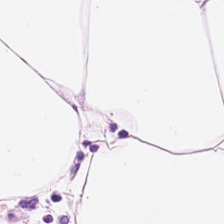H&E stain — Predominant tissue: adipose tissue.
